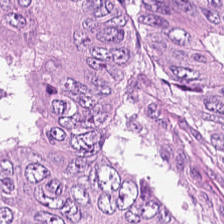H&E-stained tissue section — Tissue class — tumor epithelium.
